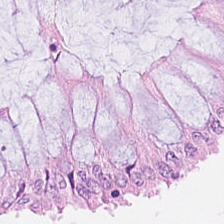Finding — normal colon mucosa.
